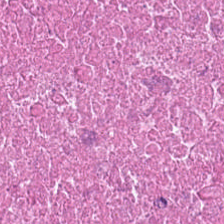H&E.
The tissue is necrotic debris.
